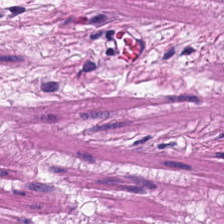Tissue class: muscularis.
